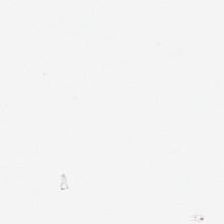Background — no tissue in this field.
